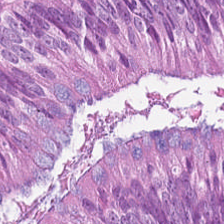H&E · 224×224 px tile. Colorectal adenocarcinoma epithelium.
